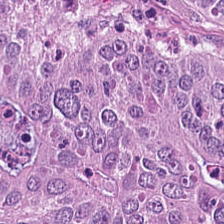Hematoxylin-and-eosin section: colorectal adenocarcinoma epithelium.
